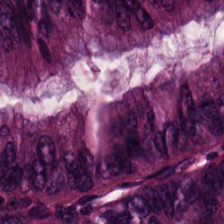Q: What is the predominant tissue type?
A: Malignant epithelium.
